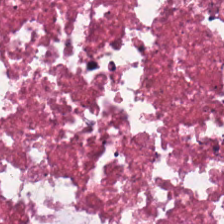Stain: hematoxylin-and-eosin stained section.
Tissue type: cellular debris.
